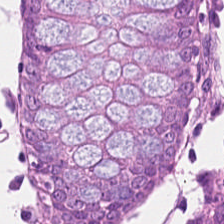Hematoxylin and eosin. 224×224 pixel tile. FFPE tissue section. Classification = non-neoplastic colon mucosa.
